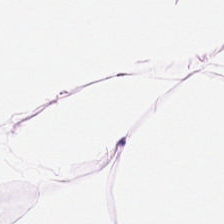Tissue class = adipose tissue.
